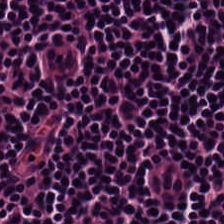{"tissue_type": "lymphocytic infiltrate"}
